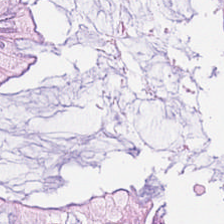Stain: H&E-stained tissue section.
Tissue: normal colon mucosa.
